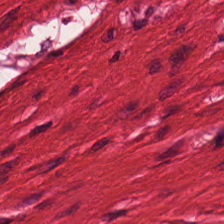Histology → smooth-muscle tissue.
